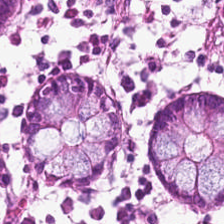H&E. The classification is normal colon mucosa.
